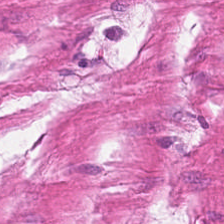Hematoxylin and eosin; formalin-fixed paraffin-embedded section; brightfield microscopy — Smooth-muscle tissue.
